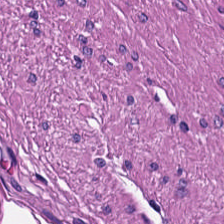Hematoxylin-and-eosin stained section. 20× equivalent magnification. This patch shows smooth-muscle tissue.
